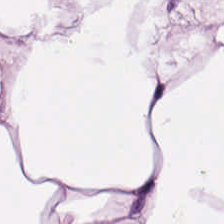Q: Classify this patch.
A: This is adipose tissue.
